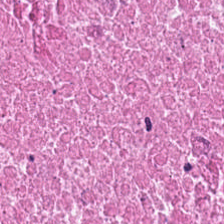H&E stain; FFPE — Classification = debris.
